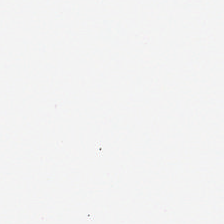Hematoxylin and eosin. FFPE. 224×224 px patch.
Q: What does this patch show?
A: It is no tissue.
